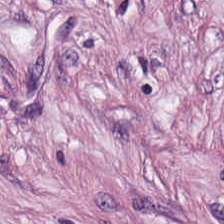H&E-stained tissue section — Desmoplastic stroma.
